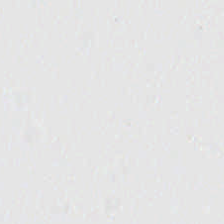224×224 pixel tile · H&E stain.
Field content: background (no tissue).
